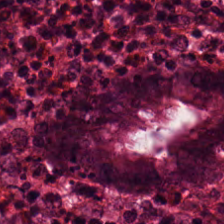Tissue type — non-neoplastic colon mucosa.
